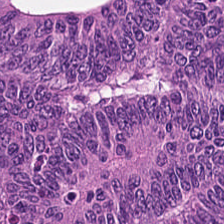Stain: hematoxylin and eosin.
Preparation: FFPE tissue section.
Tissue type: tumor epithelium.
